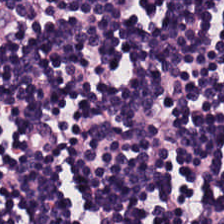H&E.
The tissue here is lymphocytic infiltrate.
